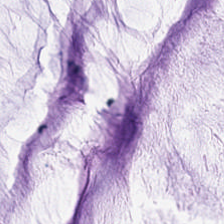Impression → mucin.
